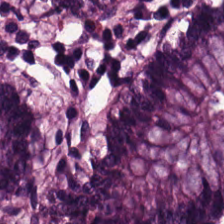WSI patch · H&E-stained tissue section. Showing normal colon mucosa.
